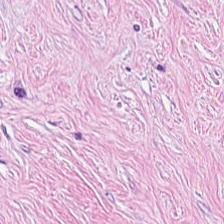{"tissue_type": "tumor stroma"}
